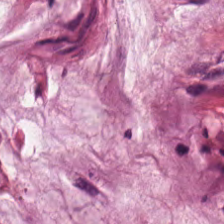The predominant tissue is mucus.
